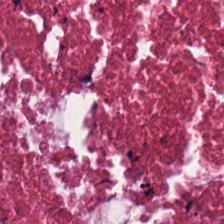Tissue type — necrotic debris.
